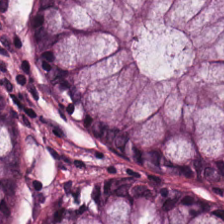0.5 microns per pixel; H&E-stained tissue section.
Q: Classify this patch.
A: This is normal colonic mucosa.
